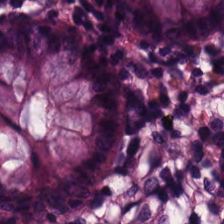H&E stain — The tissue here is normal colon mucosa.
